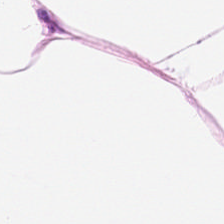Tissue: adipose tissue.
